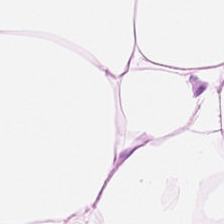FFPE tissue section; H&E stain. Classification — adipose tissue.
